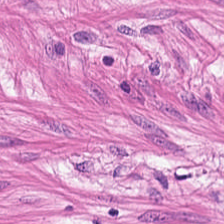H&E patch showing smooth muscle.
